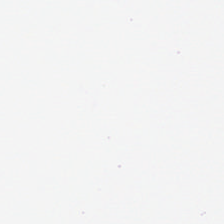Hematoxylin-and-eosin stained section — Histology → no tissue.
